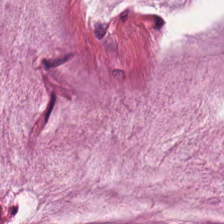H&E-stained tissue section; 224×224 px tile — Showing extracellular mucin.
